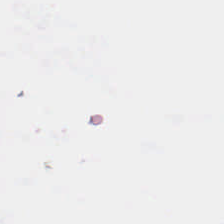Hematoxylin and eosin. Field content: empty background.
